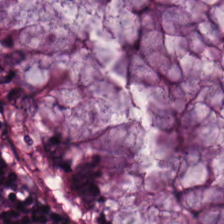Finding → normal colonic mucosa.
